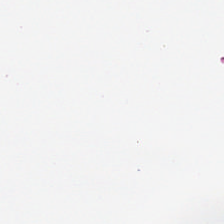Q: What does this patch show?
A: This is no tissue.
